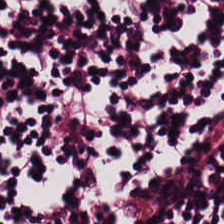Brightfield microscopy · hematoxylin and eosin. Histology → lymphoid infiltrate.
